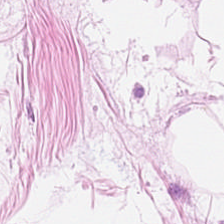The tissue here is adipose.
